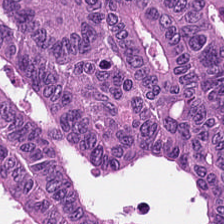Brightfield · hematoxylin and eosin · formalin-fixed paraffin-embedded section.
The tissue is colorectal adenocarcinoma epithelium.
